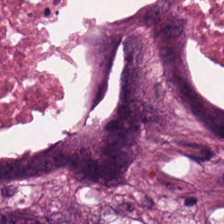20× equivalent magnification · hematoxylin-and-eosin stained section. {"tissue_type": "cellular debris"}
